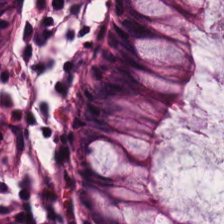H&E stain.
Tissue type: normal colonic mucosa.
